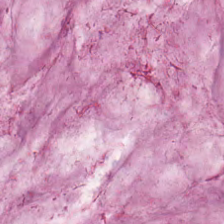Hematoxylin and eosin. 0.5 µm per pixel.
This patch shows mucin.
